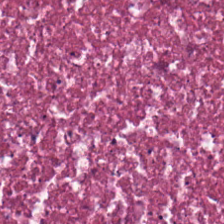The predominant tissue is cellular debris.
